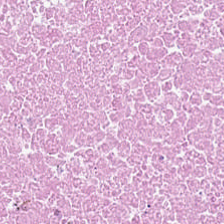H&E stain — Predominantly debris.
